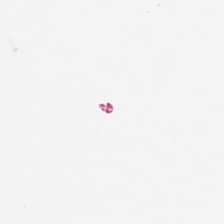Hematoxylin and eosin — The field content is background (no tissue).
